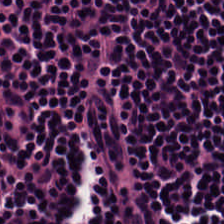Hematoxylin and eosin. Q: What tissue type is shown here?
A: Lymphocyte aggregate.
